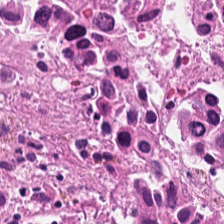224×224 px patch; H&E; 0.5 µm/px.
The tissue is cellular debris.
